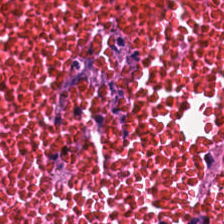Hematoxylin-and-eosin stained section. The predominant tissue is cellular debris.
